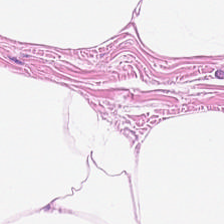Hematoxylin and eosin — Showing fat tissue.
